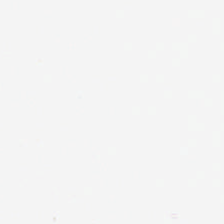Background — no tissue in this field.
